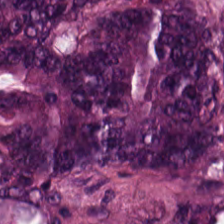0.5 µm per pixel; H&E; FFPE.
Showing adenocarcinoma.
